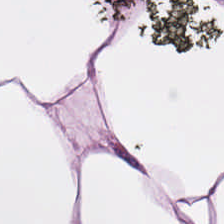Stain: H&E.
Classification: fat tissue.
